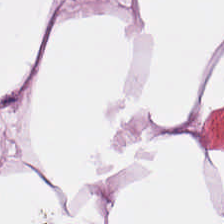H&E — adipose tissue.
